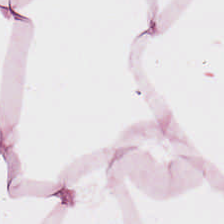H&E stain. Formalin-fixed paraffin-embedded section. Classification — adipocytes.
